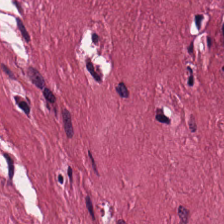H&E-stained tissue section. Tumor stroma.
